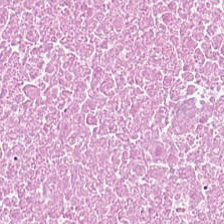Brightfield; 0.5 µm per pixel; H&E.
This patch shows debris.
